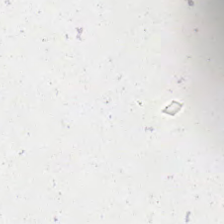Hematoxylin-and-eosin stained section.
Empty background.
